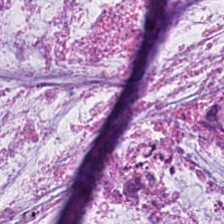The predominant tissue is mucin.
